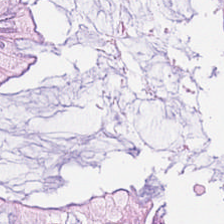Hematoxylin-and-eosin stained section · 224×224 pixel tile.
Tissue class: normal colon mucosa.
